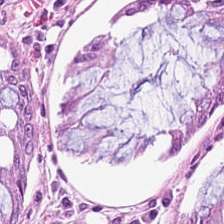224×224 px tile · H&E — The predominant tissue is benign colonic mucosa.
